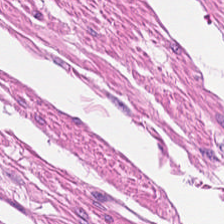Tissue class — smooth muscle.
